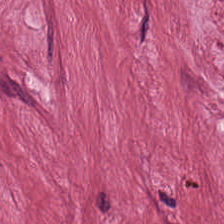H&E — Q: What is the predominant tissue type?
A: Cancer-associated stroma.
